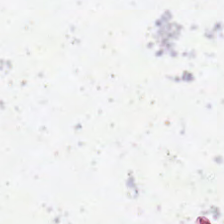H&E-stained tissue section · 224×224 px tile.
Classification — background (no tissue).
